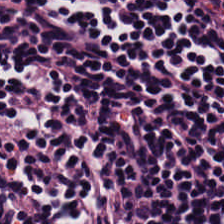H&E-stained tissue section; 0.5 microns per pixel.
The tissue here is lymphocyte aggregate.
